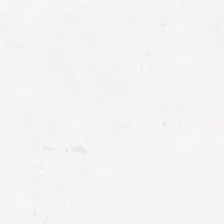Hematoxylin and eosin.
No tissue present; background only.
